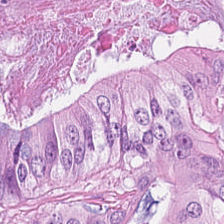Tissue class = adenocarcinoma.
